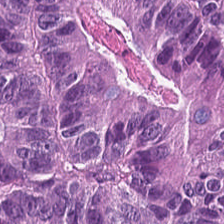H&E stain.
The tissue class is colorectal adenocarcinoma epithelium.
